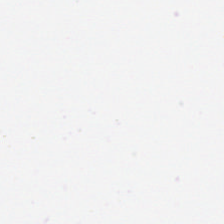0.5 µm per pixel; whole-slide-image patch; hematoxylin and eosin. This patch shows background.
